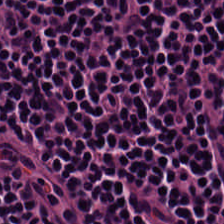Stain: hematoxylin and eosin.
Tissue class: lymphocyte aggregate.
